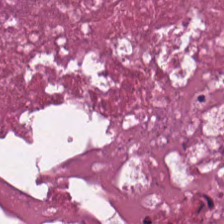Stain: H&E-stained tissue section.
Preparation: FFPE.
Tissue type: debris.
